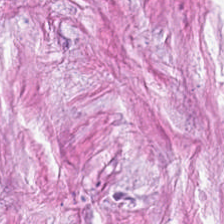Formalin-fixed paraffin-embedded section · hematoxylin-and-eosin stained section — This patch shows desmoplastic stroma.
